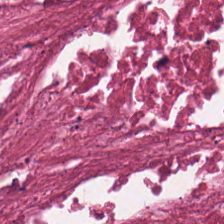Hematoxylin and eosin.
Predominantly necrotic debris.
